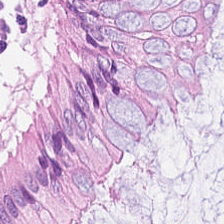Hematoxylin-and-eosin stained section. The tissue is non-neoplastic colon mucosa.
